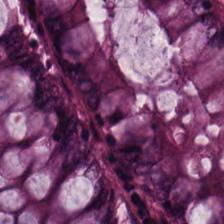Finding → benign colonic mucosa.
